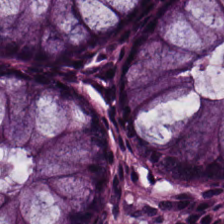H&E — Tissue class: benign colonic mucosa.
